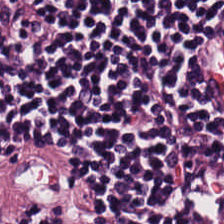Formalin-fixed paraffin-embedded section; H&E.
Tissue — lymphoid infiltrate.
